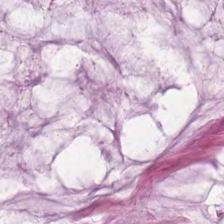H&E-stained tissue section.
Q: What does this patch show?
A: The field shows mucus.
